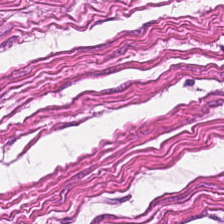Q: What tissue is shown?
A: The field shows muscularis.
